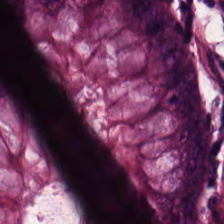Q: Classify this patch.
A: This is non-neoplastic colon mucosa.
